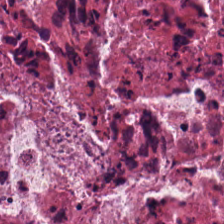Tissue class = necrotic debris.
